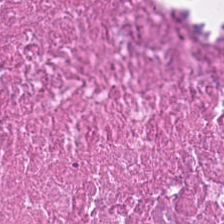Finding → debris.
